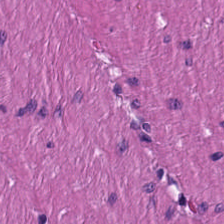H&E-stained tissue section; FFPE tissue section. Q: What is the predominant tissue type?
A: This is smooth-muscle tissue.
